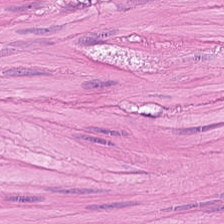Q: What is the predominant tissue type?
A: It is smooth-muscle tissue.
